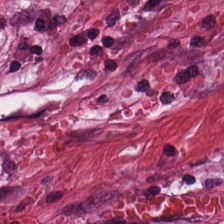Hematoxylin and eosin.
Tissue type: tumor stroma.
